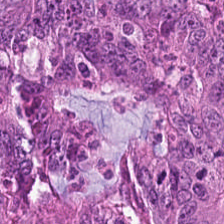H&E-stained tissue section · FFPE. Showing colorectal adenocarcinoma epithelium.
